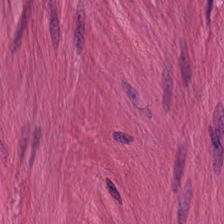Hematoxylin-and-eosin stained section.
Histology → smooth-muscle tissue.
